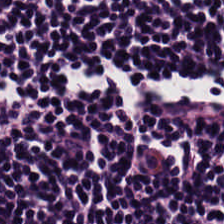Hematoxylin and eosin · formalin-fixed paraffin-embedded section. Showing lymphocytic infiltrate.
